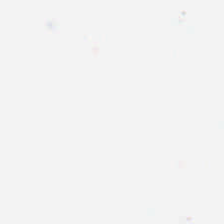Hematoxylin and eosin. Content = background (no tissue).
